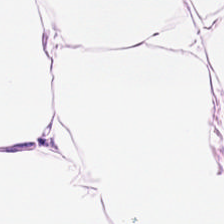Showing fat tissue.
